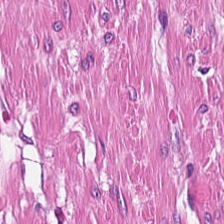Hematoxylin and eosin.
Showing smooth-muscle tissue.
